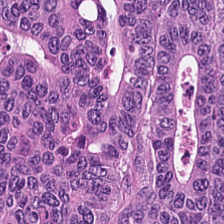Hematoxylin and eosin — The tissue here is colorectal adenocarcinoma epithelium.
